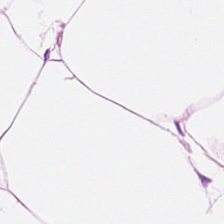Whole-slide-image patch. 224×224 px tile. Hematoxylin and eosin — Q: What is shown in this field?
A: The field shows adipocytes.
